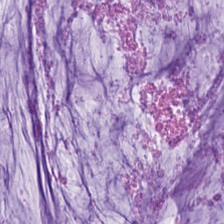Hematoxylin-and-eosin stained section; 0.5 microns per pixel; brightfield — Q: Identify the tissue.
A: Mucin.
